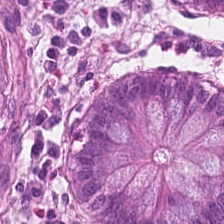H&E. Predominant tissue = normal colon mucosa.
